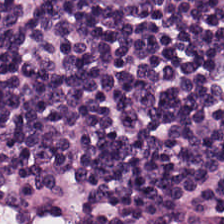Predominantly lymphoid infiltrate.
